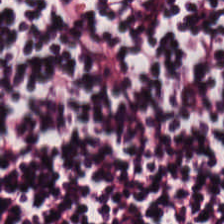Whole-slide-image patch · H&E · 0.5 µm per pixel.
Q: What does this patch show?
A: It is lymphocytes.
